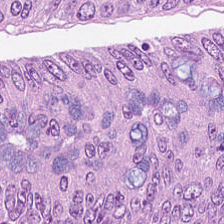Hematoxylin and eosin.
The tissue class is adenocarcinoma.
